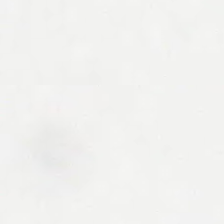No tissue present; background only.
